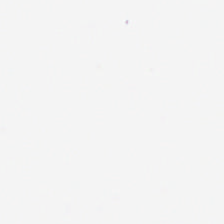Background (no tissue).
